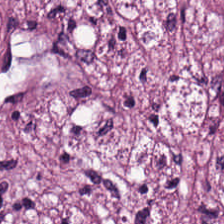20× equivalent magnification · formalin-fixed paraffin-embedded section · hematoxylin and eosin.
Predominant tissue — tumor-associated stroma.
